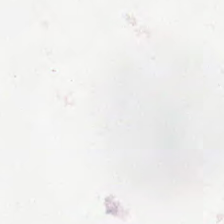224×224 px tile · 20× equivalent magnification · H&E stain. Classification: empty background.
